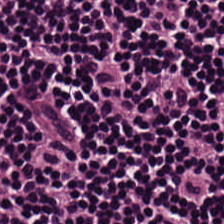Hematoxylin and eosin. Predominantly lymphocytes.
